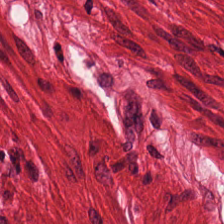Tissue class: smooth muscle.
